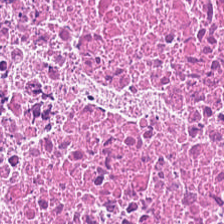Classification = necrotic debris.
